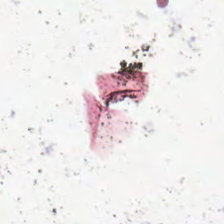224×224 px tile · H&E — Classification — no tissue.
